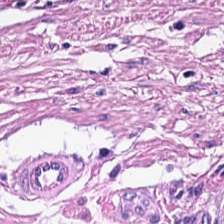Q: What is shown in this field?
A: This is muscularis.
